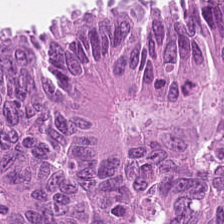Hematoxylin and eosin — Q: What is shown in this field?
A: The field shows adenocarcinoma.
